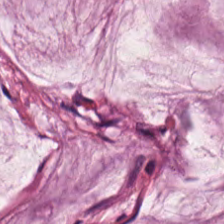Hematoxylin-and-eosin section: mucin.
